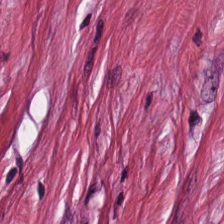H&E — Histology — tumor stroma.
